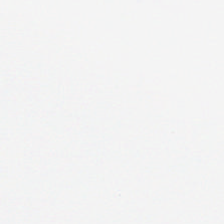H&E-stained tissue section. No tissue present; background only.
